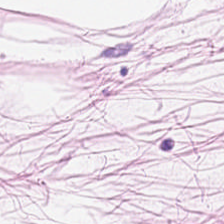Stain: H&E-stained tissue section.
Tile size: 224×224 px tile.
Acquisition: WSI patch.
Tissue: adipocytes.
